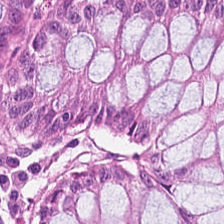Stain: H&E-stained tissue section.
Tile size: 224×224 px patch.
Resolution: 0.5 microns per pixel.
Predominant tissue: normal colon mucosa.
